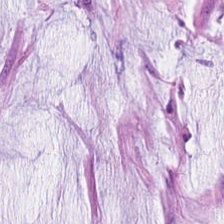Stain: hematoxylin and eosin.
Preparation: FFPE tissue section.
Resolution: 0.5 microns per pixel.
Tissue type: mucus.
